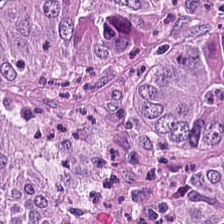H&E-stained section; the field shows colorectal adenocarcinoma epithelium.
